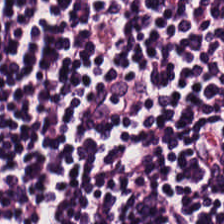Stain: H&E-stained tissue section.
Tissue class: lymphocytes.
